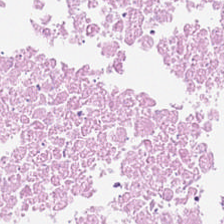Hematoxylin-and-eosin stained section. 224×224 px tile.
The tissue here is cellular debris.
